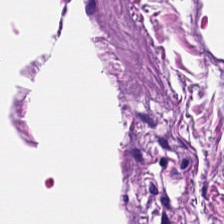Smooth-muscle tissue.
